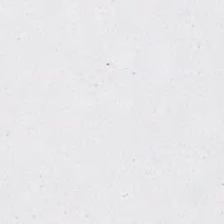H&E stain.
Empty background.
